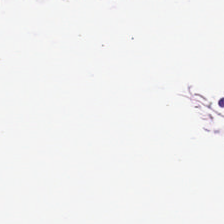This field is fat tissue.
